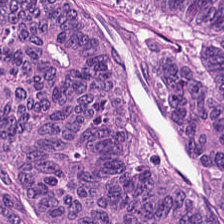Stain: H&E.
Tile size: 224×224 px patch.
Tissue: colorectal adenocarcinoma epithelium.
